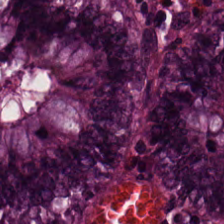This patch shows non-neoplastic colon mucosa.
